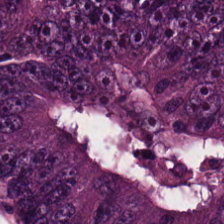Hematoxylin-and-eosin stained section.
Tissue: adenocarcinoma.
